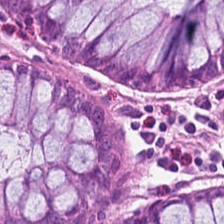Normal colon mucosa.
